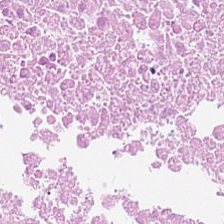Hematoxylin and eosin. Tissue class — necrotic debris.
